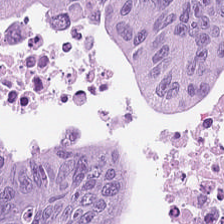H&E stain. The tissue class is colorectal adenocarcinoma.
